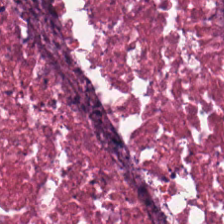Stain: H&E stain.
Acquisition: whole-slide-image patch.
Classification: necrotic debris.
